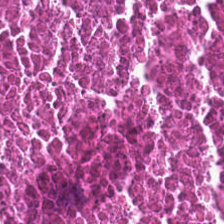Brightfield microscopy; H&E-stained tissue section; FFPE tissue section — Q: What does this patch show?
A: Necrotic debris.
